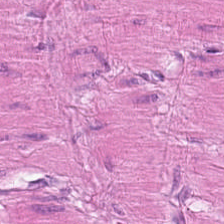Formalin-fixed paraffin-embedded section; H&E. Q: What tissue is shown?
A: This is smooth-muscle tissue.
